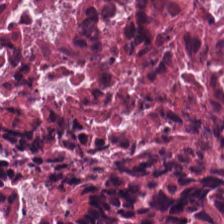Brightfield. H&E-stained tissue section. Tissue type = debris.
